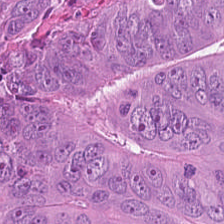224×224 px tile; hematoxylin and eosin.
The tissue here is tumor epithelium.
